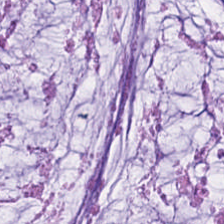Hematoxylin-and-eosin stained section — The tissue is extracellular mucin.
